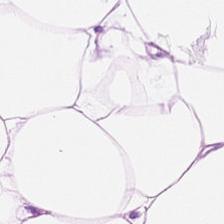0.5 µm/px · H&E-stained tissue section — Finding → fat tissue.
